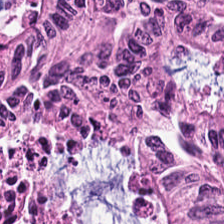Impression → malignant epithelium.
